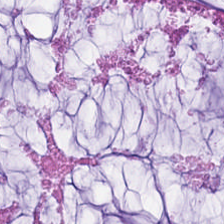Mucin.
